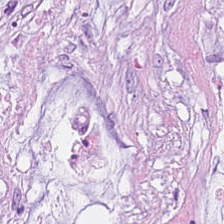H&E.
Classification: extracellular mucin.
